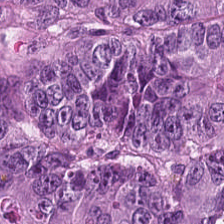H&E · WSI patch · formalin-fixed paraffin-embedded section — Tissue: adenocarcinoma.
